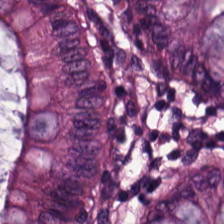Hematoxylin and eosin — The predominant tissue is benign colonic mucosa.
